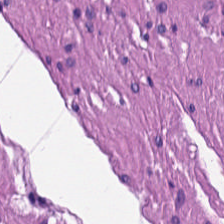Hematoxylin-and-eosin stained section. Tissue — muscularis.
